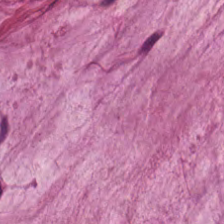H&E. Tissue — mucus.
